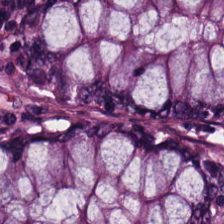This patch shows normal colon mucosa.
